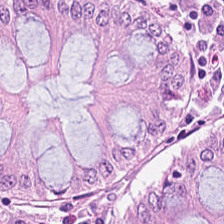H&E-stained tissue section — Tissue type = normal colonic mucosa.
